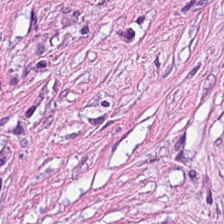H&E stain.
Tissue — cancer-associated stroma.
